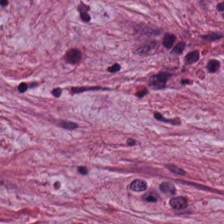Hematoxylin-and-eosin stained section. Predominant tissue: cancer-associated stroma.
